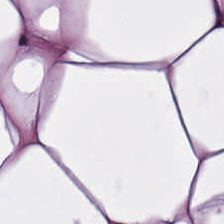224×224 pixel tile. H&E-stained tissue section — Predominantly adipocytes.
